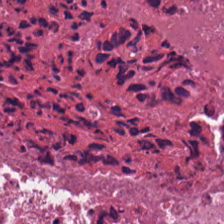H&E-stained tissue section.
{"tissue_type": "cellular debris"}
